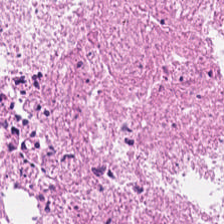Hematoxylin and eosin · brightfield · 0.5 microns per pixel. Histology → cellular debris.
